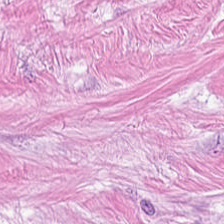Hematoxylin-and-eosin stained section. Finding → tumor stroma.
